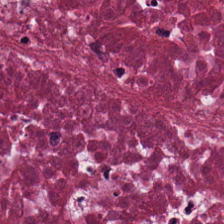Hematoxylin-and-eosin section: cellular debris.
